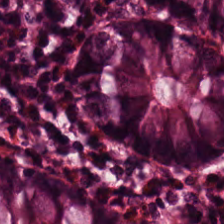Stain: H&E stain.
Classification: non-neoplastic colon mucosa.
